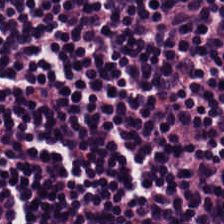H&E-stained tissue section · FFPE · 224×224 px tile — Showing lymphocyte aggregate.
